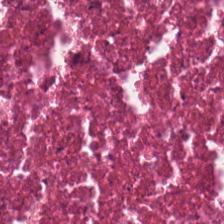H&E-stained tissue section — Q: What is the predominant tissue type?
A: The field shows debris.
